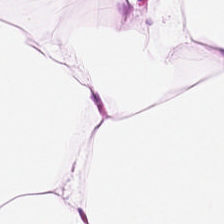Hematoxylin and eosin; formalin-fixed paraffin-embedded section. Finding → adipose tissue.
